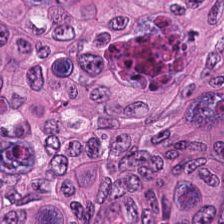Hematoxylin-and-eosin stained section. Tissue — adenocarcinoma.
